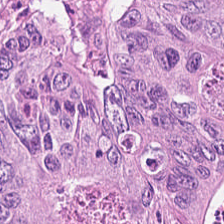Hematoxylin and eosin. 20× equivalent magnification. Histology → malignant epithelium.
